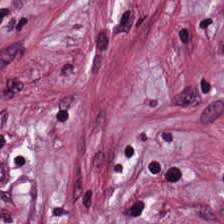H&E. Finding → desmoplastic stroma.
